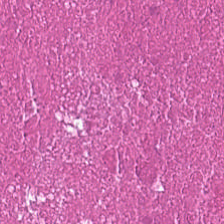Hematoxylin-and-eosin stained section — Histology — cellular debris.
